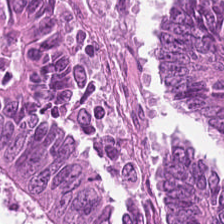Hematoxylin-and-eosin stained section.
Q: What is shown here?
A: This is adenocarcinoma.
